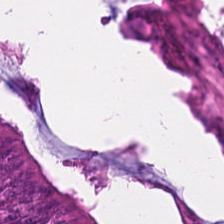H&E stain · FFPE · 224×224 pixel tile.
Q: What tissue is shown?
A: The field shows tumor epithelium.
